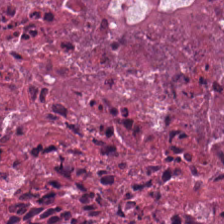Hematoxylin and eosin — Q: What is the predominant tissue type?
A: This is debris.
